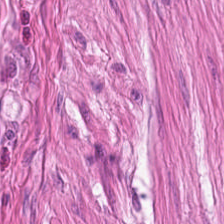Muscularis.
